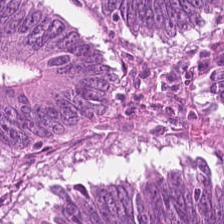Stain: H&E-stained tissue section.
Tissue: colorectal adenocarcinoma epithelium.
